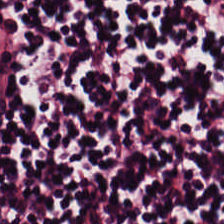Whole-slide-image patch · hematoxylin and eosin · 0.5 µm per pixel — Finding — lymphocyte aggregate.
